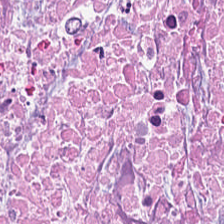H&E. The tissue class is cellular debris.
